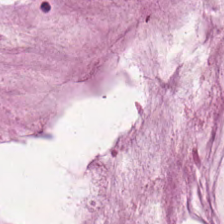Hematoxylin-and-eosin stained section. The tissue here is extracellular mucin.
